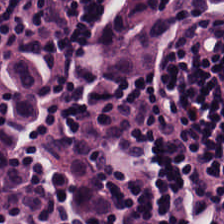Classification = lymphoid infiltrate.
